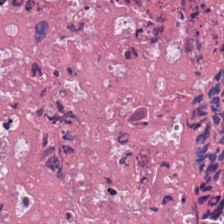H&E stain.
This field is cellular debris.
